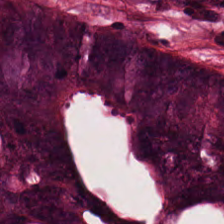Hematoxylin-and-eosin stained section — The predominant tissue is tumor epithelium.
